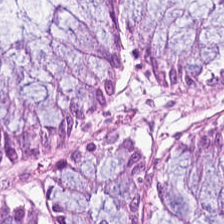H&E-stained tissue section.
The tissue class is normal colonic mucosa.
